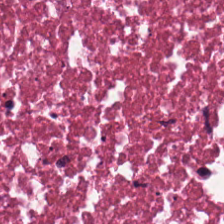Hematoxylin-and-eosin stained section.
Classification: necrotic debris.
